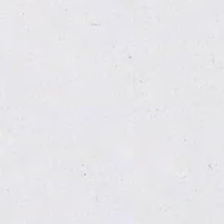Stain: H&E stain.
Classification: background.
